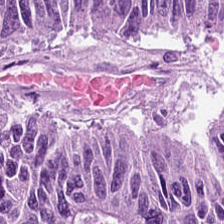H&E-stained tissue section; 224×224 pixel tile. The tissue here is malignant epithelium.
